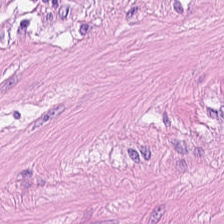Hematoxylin-and-eosin stained section.
This patch shows smooth-muscle tissue.
